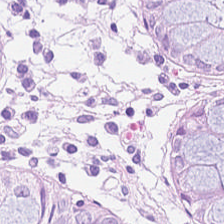Hematoxylin-and-eosin stained section.
{"tissue_type": "normal colon mucosa"}
